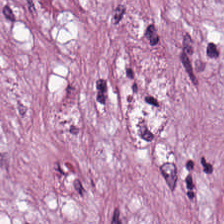Q: Classify this patch.
A: Desmoplastic stroma.
